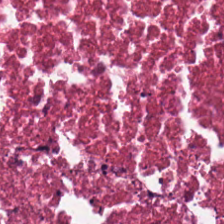H&E · FFPE — Q: What is the predominant tissue type?
A: This is cellular debris.
